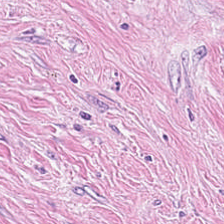Hematoxylin-and-eosin stained section; 224×224 px patch; formalin-fixed paraffin-embedded section.
Predominantly desmoplastic stroma.
